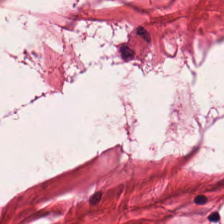This patch shows smooth muscle.
